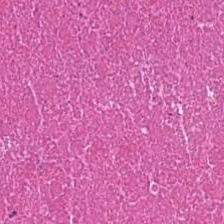Q: What does this patch show?
A: Necrotic debris.
